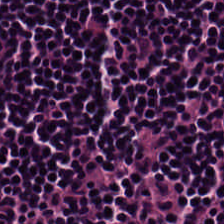H&E — Q: What tissue is shown?
A: Lymphocytic infiltrate.
